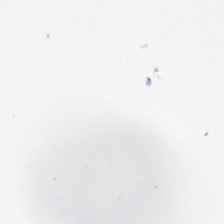WSI patch · H&E.
The content is no tissue.
